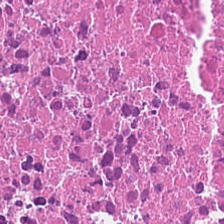H&E — necrotic debris.
